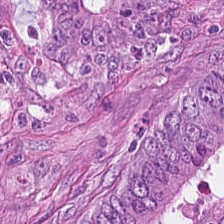H&E — colorectal adenocarcinoma.
